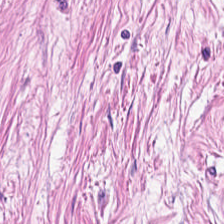H&E.
Tissue: tumor stroma.
